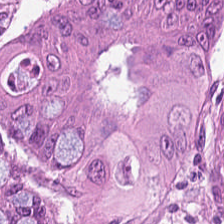Hematoxylin-and-eosin stained section; brightfield; 0.5 microns per pixel.
{"tissue_type": "tumor epithelium"}
